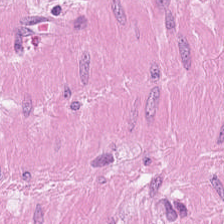Hematoxylin and eosin. The classification is smooth muscle.
